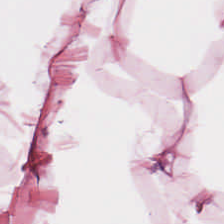Hematoxylin and eosin; FFPE tissue section; 224×224 px patch — Q: What is shown in this field?
A: Fat tissue.
